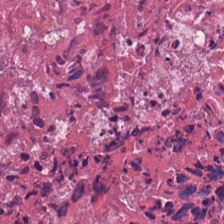H&E — {"tissue_type": "necrotic debris"}
